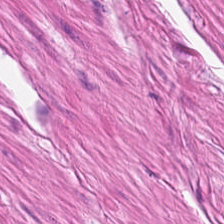H&E. 20× equivalent magnification. WSI patch. Predominantly muscularis.
